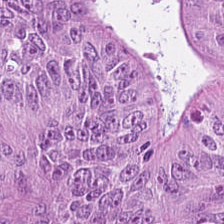The tissue here is colorectal adenocarcinoma epithelium.
